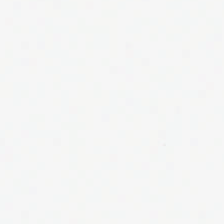224×224 px patch. H&E — Content — background (no tissue).
